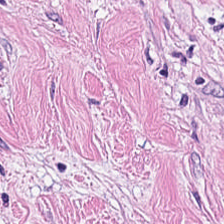H&E stain; 224×224 px patch; 0.5 µm/px.
Impression — tumor stroma.
